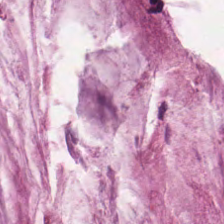Hematoxylin-and-eosin stained section; 20× equivalent magnification — Predominantly mucus.
